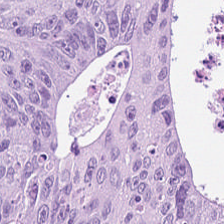Q: What is shown here?
A: Colorectal adenocarcinoma.
